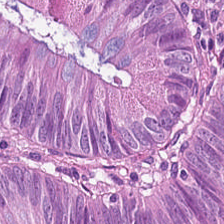Whole-slide-image patch. Hematoxylin-and-eosin stained section. Tissue class = colorectal adenocarcinoma epithelium.
